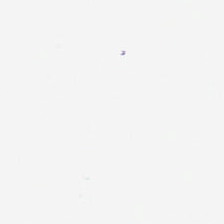H&E-stained tissue section. No tissue present; background only.
